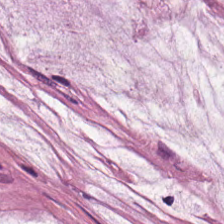This patch shows extracellular mucin.
